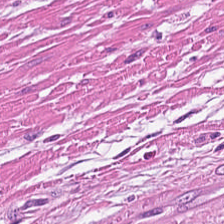The predominant tissue is smooth muscle.
